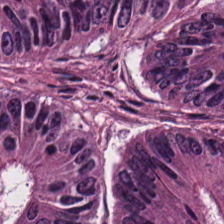H&E-stained tissue section; FFPE — This patch shows malignant epithelium.
